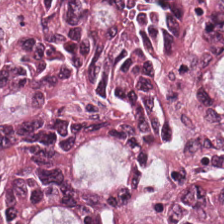Hematoxylin-and-eosin stained section — Tissue — tumor epithelium.
